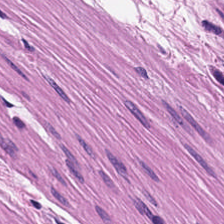{"tissue_type": "muscularis"}
